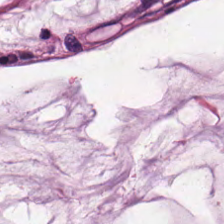224×224 px tile. H&E stain — Q: What type of tissue is this?
A: This is mucus.
